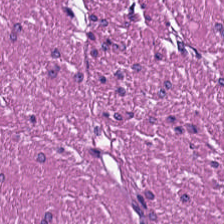Impression → smooth-muscle tissue.
